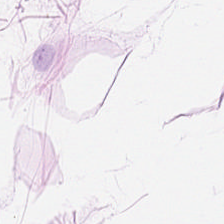Hematoxylin-and-eosin stained section — Showing fat tissue.
